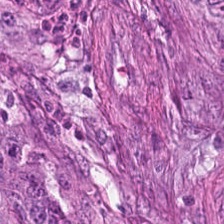H&E-stained tissue section. Showing tumor epithelium.
